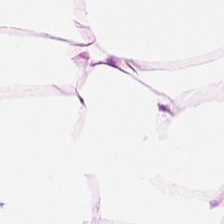Stain: hematoxylin-and-eosin stained section.
Tissue type: adipocytes.
